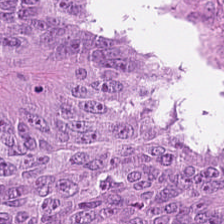H&E; 0.5 µm/px — Histology — malignant epithelium.
